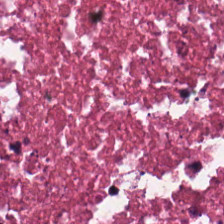H&E · FFPE tissue section.
This field is necrotic debris.
